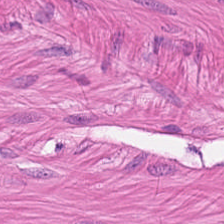H&E-stained tissue section.
Showing muscularis.
